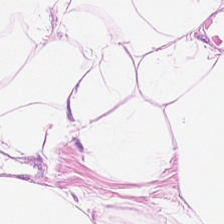20× equivalent magnification. H&E — Predominant tissue — adipose tissue.
